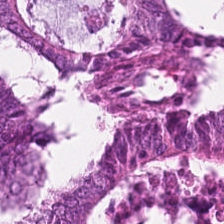224×224 px tile. Hematoxylin-and-eosin stained section. Tissue class = tumor epithelium.
